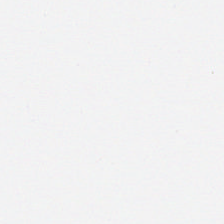Hematoxylin-and-eosin stained section · brightfield microscopy · 0.5 µm/px. Impression → background (no tissue).
